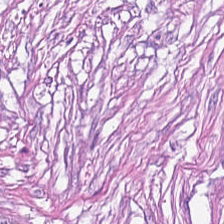Hematoxylin-and-eosin section: tumor stroma.
